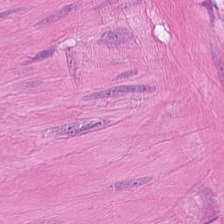H&E-stained section; the field shows smooth-muscle tissue.
